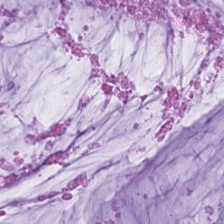Q: What tissue is shown?
A: The field shows mucin.
